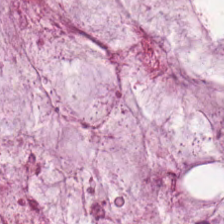Hematoxylin-and-eosin stained section — This field is mucus.
